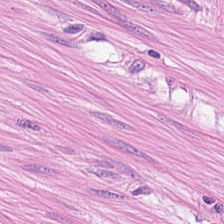Hematoxylin and eosin. 0.5 µm per pixel — Classification — muscularis.
